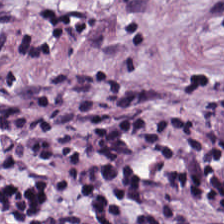Histology → desmoplastic stroma.
